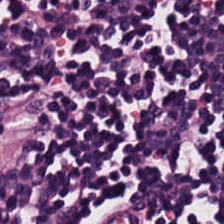Hematoxylin-and-eosin stained section; FFPE. Q: Identify the tissue.
A: This is lymphoid infiltrate.
